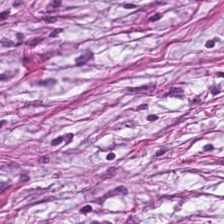224×224 px patch. Hematoxylin-and-eosin stained section.
This patch shows tumor-associated stroma.
